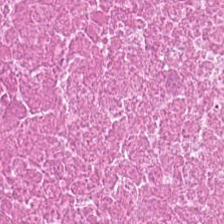20× equivalent magnification; FFPE tissue section; hematoxylin-and-eosin stained section.
Finding — necrotic debris.
